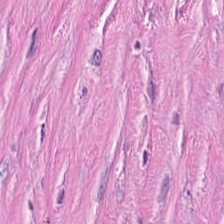Impression — tumor stroma.
